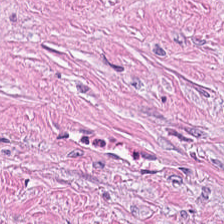224×224 px patch. Formalin-fixed paraffin-embedded section. H&E.
Tissue class = tumor stroma.
